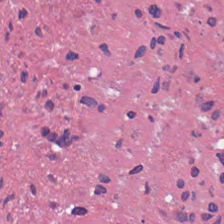Hematoxylin-and-eosin stained section. Impression → necrotic debris.
